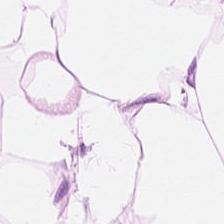H&E — This field is adipose.
